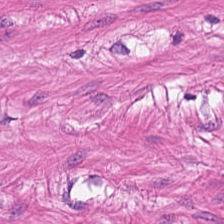Q: Classify this patch.
A: This is muscularis.
